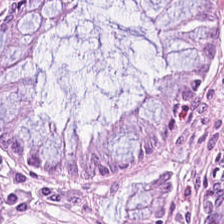H&E-stained tissue section. The predominant tissue is normal colon mucosa.
